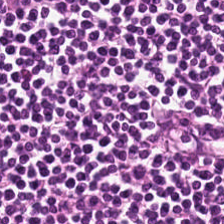This patch shows lymphocyte aggregate.
